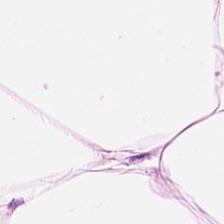H&E stain — Finding → adipose.
